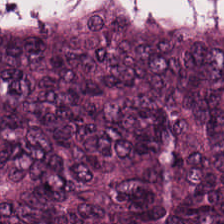H&E-stained tissue section. WSI patch. FFPE tissue section. Tissue type — adenocarcinoma.
